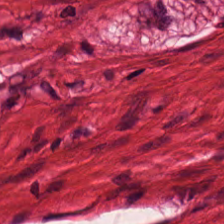H&E stain; WSI patch; 0.5 µm per pixel. Tissue type = muscularis.
